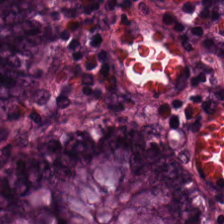Stain: H&E stain.
Tissue class: benign colonic mucosa.
